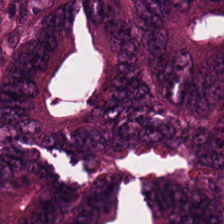Stain: H&E-stained tissue section.
Tissue class: colorectal adenocarcinoma.
